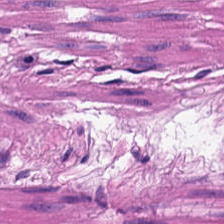Hematoxylin and eosin · FFPE · 0.5 µm/px.
Q: Identify the tissue.
A: The field shows muscularis.
